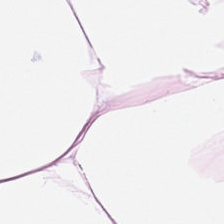H&E patch showing adipose tissue.
